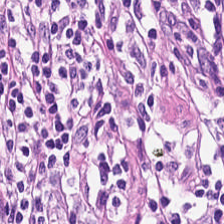The predominant tissue is lymphocyte aggregate.
